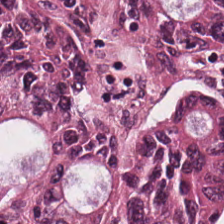Stain: H&E.
Tissue type: adenocarcinoma.
